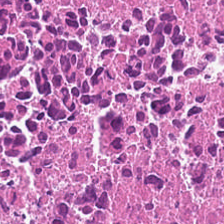Stain: H&E.
Tissue: cellular debris.
